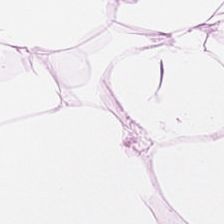Hematoxylin and eosin; FFPE; 224×224 pixel tile.
This patch shows adipose tissue.
